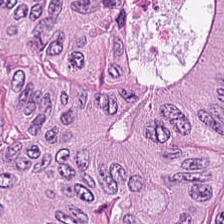H&E stain. Brightfield. Predominantly malignant epithelium.
